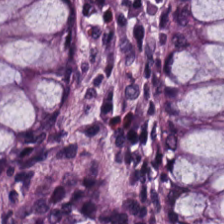H&E · 0.5 µm/px · FFPE.
The tissue class is non-neoplastic colon mucosa.
